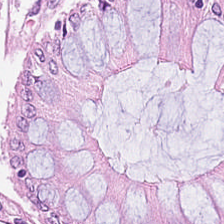Hematoxylin-and-eosin section: normal colon mucosa.
